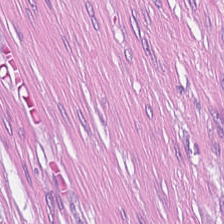H&E. The tissue here is cancer-associated stroma.
